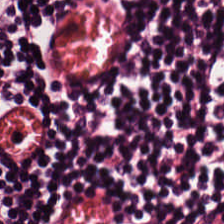Hematoxylin and eosin. Classification: lymphocyte aggregate.
